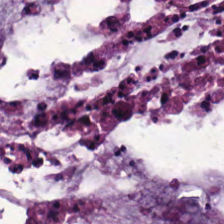FFPE tissue section; hematoxylin-and-eosin stained section.
Predominantly mucin.
